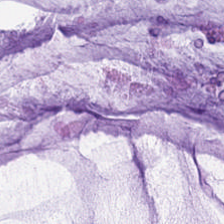Q: What does this patch show?
A: The field shows extracellular mucin.
